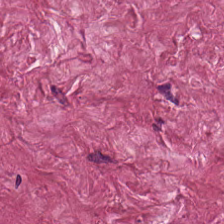Hematoxylin-and-eosin stained section.
{"tissue_type": "tumor stroma"}
